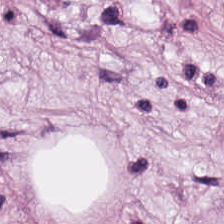H&E-stained tissue section. 0.5 microns per pixel. {"tissue_type": "adipocytes"}
